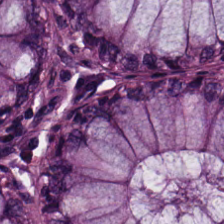0.5 µm per pixel; H&E-stained tissue section — Classification: normal colon mucosa.
